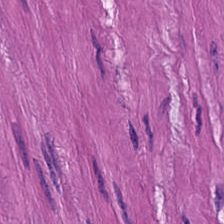224×224 pixel tile; H&E-stained tissue section; brightfield microscopy — Histology → muscularis.
